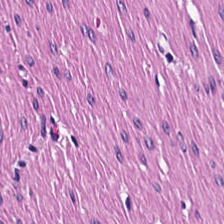Stain: H&E-stained tissue section.
Tile size: 224×224 px patch.
Acquisition: WSI patch.
Tissue: muscularis.
